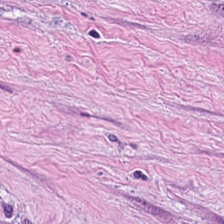224×224 pixel tile · brightfield · hematoxylin and eosin — This patch shows tumor-associated stroma.
